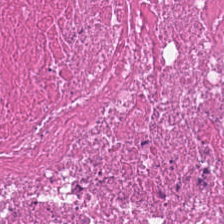20× equivalent magnification; FFPE; H&E-stained tissue section.
Debris.
